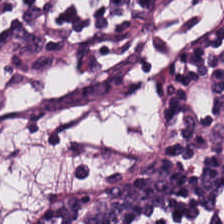Hematoxylin and eosin.
Q: What type of tissue is this?
A: The field shows lymphocytic infiltrate.
